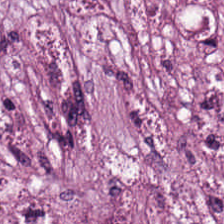Stain: hematoxylin and eosin.
Classification: desmoplastic stroma.
